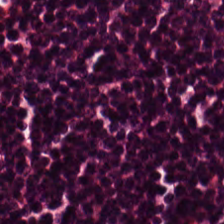Classification = lymphocytes.
